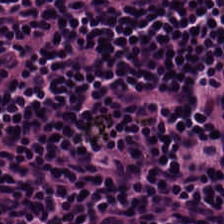Hematoxylin-and-eosin stained section. Q: What is shown in this field?
A: The field shows lymphocytes.
